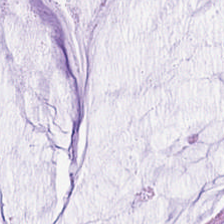Hematoxylin-and-eosin stained section. Finding — mucin.
